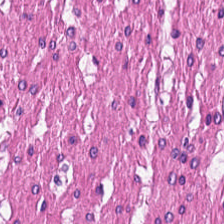Stain: H&E-stained tissue section.
Acquisition: WSI patch.
Resolution: 0.5 µm/px.
Tissue class: smooth-muscle tissue.
